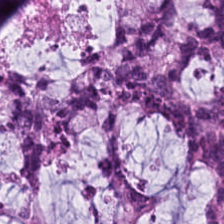H&E-stained tissue section · 0.5 µm per pixel.
Q: Identify the tissue.
A: The field shows mucin.
